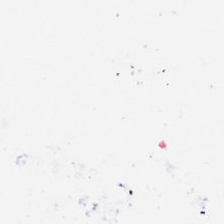Brightfield · H&E stain. No tissue.
